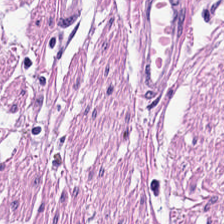224×224 px tile; hematoxylin and eosin.
{"tissue_type": "muscularis"}
